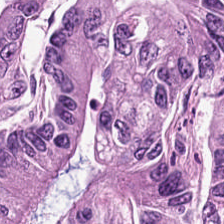224×224 px tile · hematoxylin-and-eosin stained section · FFPE tissue section — The classification is colorectal adenocarcinoma.
